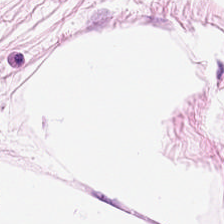H&E patch showing adipose.
